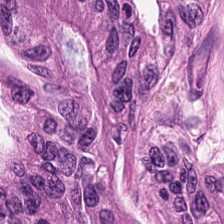Showing tumor epithelium.
